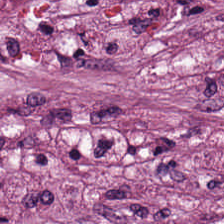H&E stain. The predominant tissue is tumor stroma.
